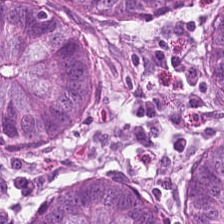H&E-stained tissue section. The predominant tissue is normal colonic mucosa.
